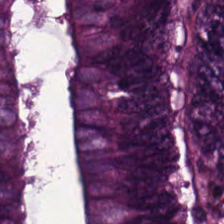Predominantly adenocarcinoma.
